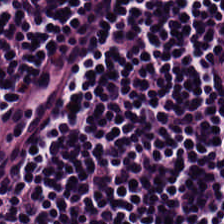Hematoxylin-and-eosin stained section · 224×224 px patch.
Tissue class — lymphocytes.
